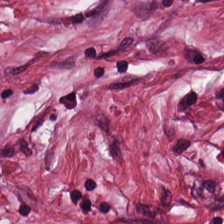H&E stain; 224×224 px tile. Cancer-associated stroma.
